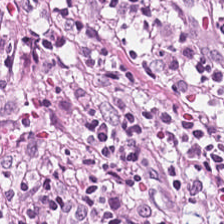H&E-stained tissue section showing desmoplastic stroma.
